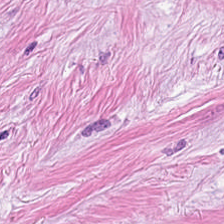Showing desmoplastic stroma.
